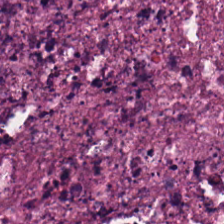Impression — necrotic debris.
